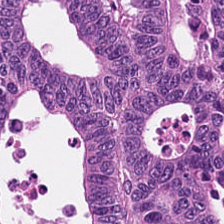Brightfield · hematoxylin-and-eosin stained section.
Tissue: tumor epithelium.
